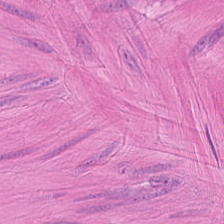H&E — Showing smooth-muscle tissue.
